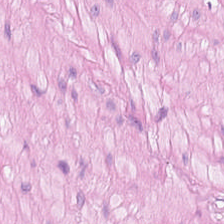Hematoxylin and eosin · 224×224 pixel tile.
Showing smooth-muscle tissue.
